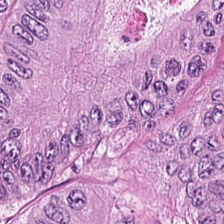H&E. Tissue = colorectal adenocarcinoma epithelium.
